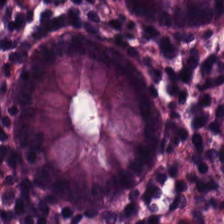224×224 px tile. H&E stain. 0.5 microns per pixel — Predominant tissue: normal colon mucosa.
